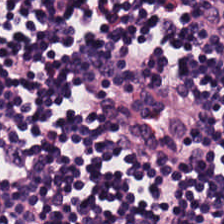Formalin-fixed paraffin-embedded section · brightfield microscopy · hematoxylin-and-eosin stained section — Predominant tissue — lymphocytes.
